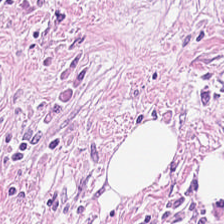Brightfield; H&E-stained tissue section — Histology — desmoplastic stroma.
